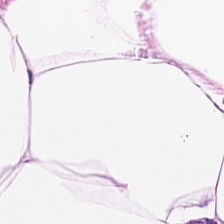Hematoxylin and eosin.
This field is fat tissue.
